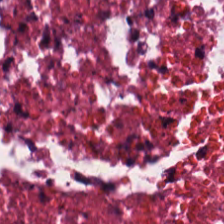Formalin-fixed paraffin-embedded section. Whole-slide-image patch. Hematoxylin-and-eosin stained section. Predominant tissue: debris.
